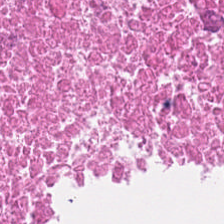The predominant tissue is cellular debris.
